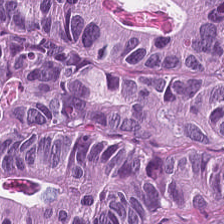Whole-slide-image patch. Hematoxylin and eosin. Q: Identify the tissue.
A: Tumor epithelium.
